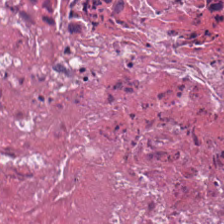FFPE tissue section. 20× equivalent magnification. Hematoxylin-and-eosin stained section. Predominant tissue = necrotic debris.
